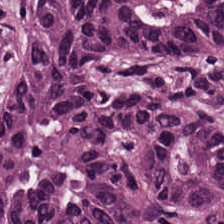Hematoxylin and eosin; FFPE.
The predominant tissue is colorectal adenocarcinoma epithelium.
